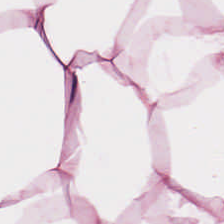Hematoxylin-and-eosin stained section. Tissue: adipocytes.
